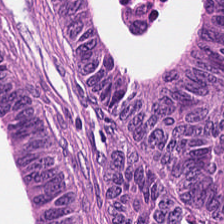H&E stain · 0.5 microns per pixel. Tissue type = malignant epithelium.
